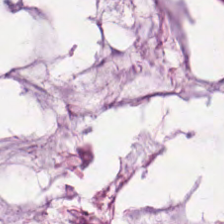224×224 px tile. Hematoxylin and eosin.
The tissue class is mucus.
